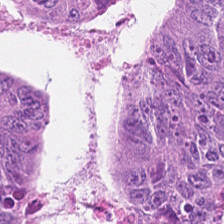WSI patch · 224×224 pixel tile · H&E-stained tissue section. This patch shows malignant epithelium.
